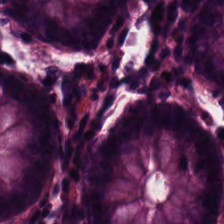FFPE tissue section. H&E-stained tissue section.
Q: Classify this patch.
A: This is benign colonic mucosa.
